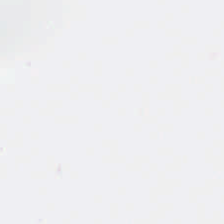FFPE tissue section. 0.5 microns per pixel. H&E stain. Empty field — background.
